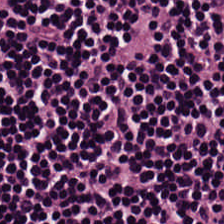H&E — This field is lymphocyte aggregate.
